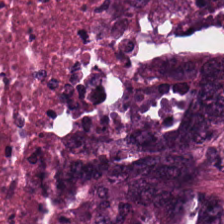Hematoxylin-and-eosin stained section. Showing tumor epithelium.
